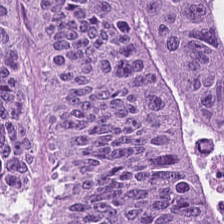Hematoxylin-and-eosin stained section.
This patch shows colorectal adenocarcinoma.
